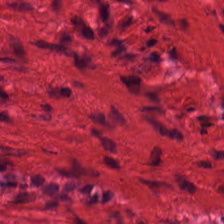Hematoxylin-and-eosin stained section — Predominantly smooth-muscle tissue.
